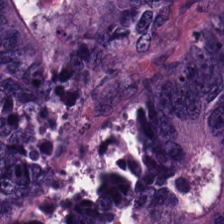H&E stain. 20× equivalent magnification.
Q: What is shown here?
A: It is colorectal adenocarcinoma.
